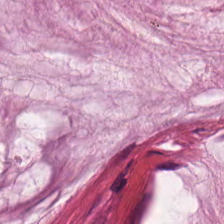H&E — This patch shows extracellular mucin.
